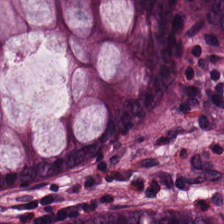Hematoxylin-and-eosin stained section. Brightfield. Formalin-fixed paraffin-embedded section.
The predominant tissue is non-neoplastic colon mucosa.
